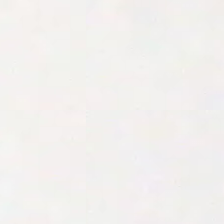H&E — Classification = background (no tissue).
